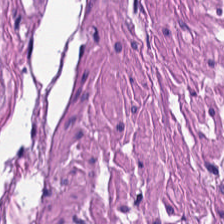H&E stain. The classification is smooth muscle.
